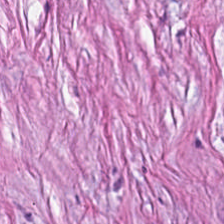Hematoxylin-and-eosin stained section — Predominant tissue — tumor-associated stroma.
